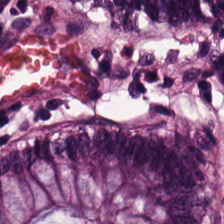Hematoxylin-and-eosin stained section.
Q: What type of tissue is this?
A: The field shows benign colonic mucosa.
